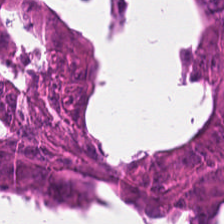H&E. Showing adenocarcinoma.
